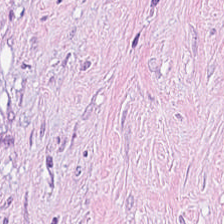H&E stain.
The tissue here is desmoplastic stroma.
